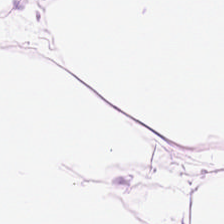H&E. Q: What tissue type is shown here?
A: The field shows fat tissue.
